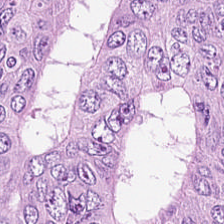Hematoxylin and eosin — Histology — colorectal adenocarcinoma.
